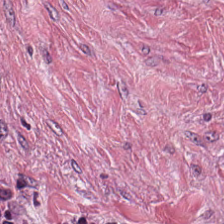H&E-stained section; the field shows cancer-associated stroma.
